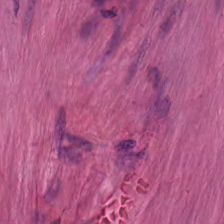Hematoxylin-and-eosin stained section · brightfield microscopy · 20× equivalent magnification.
The predominant tissue is muscularis.
